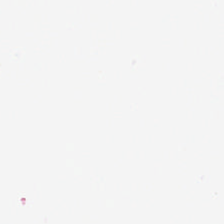Hematoxylin and eosin — Classification — background (no tissue).
